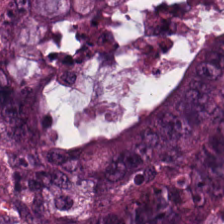H&E. The tissue class is colorectal adenocarcinoma.
